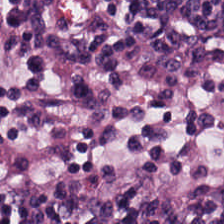Hematoxylin-and-eosin stained section · formalin-fixed paraffin-embedded section · 224×224 pixel tile.
Finding → lymphocyte aggregate.
